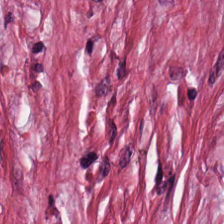0.5 microns per pixel · hematoxylin-and-eosin stained section.
The tissue is desmoplastic stroma.
